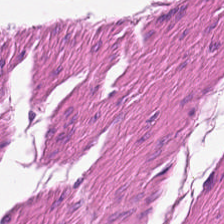Hematoxylin-and-eosin stained section · 0.5 µm per pixel.
The classification is smooth-muscle tissue.
